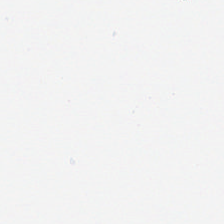No tissue present; background only.
